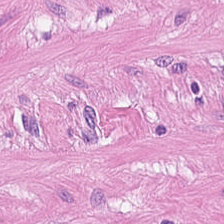Hematoxylin-and-eosin section: smooth muscle.
